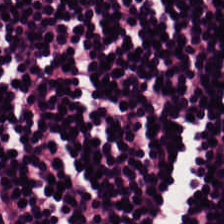The classification is lymphocyte aggregate.
